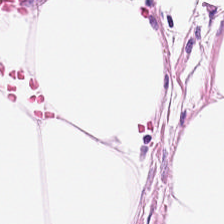Stain: hematoxylin and eosin.
Tissue: fat tissue.
